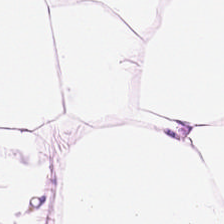H&E-stained tissue section — {"tissue_type": "adipocytes"}
